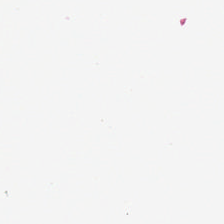224×224 pixel tile · H&E — Finding → background (no tissue).
